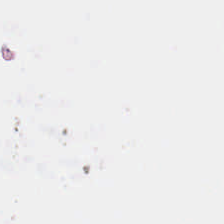Finding → background.
